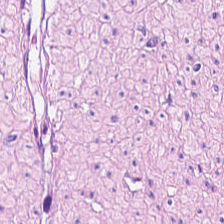Hematoxylin and eosin; brightfield microscopy. Classification: smooth-muscle tissue.
